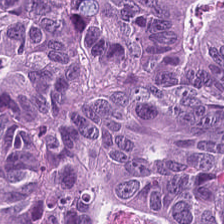H&E-stained tissue section · formalin-fixed paraffin-embedded section · whole-slide-image patch. Histology → adenocarcinoma.
